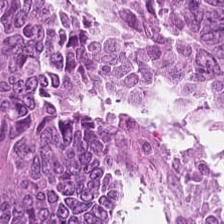H&E — Q: What is shown in this field?
A: Adenocarcinoma.
